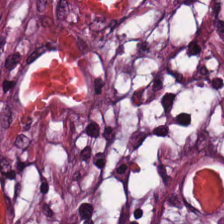H&E — Tumor stroma.
